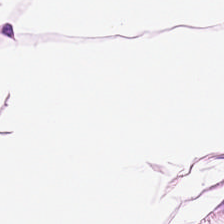H&E. FFPE tissue section. {"tissue_type": "adipose tissue"}
